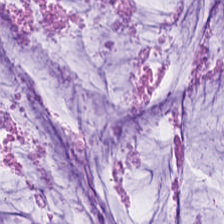Hematoxylin and eosin. FFPE. This patch shows mucus.
